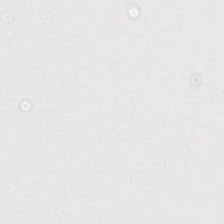224×224 px tile · H&E stain · 20× equivalent magnification. Content = empty background.
